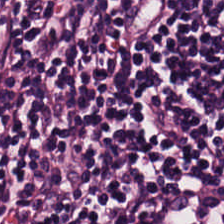Hematoxylin and eosin — Finding → lymphoid infiltrate.
